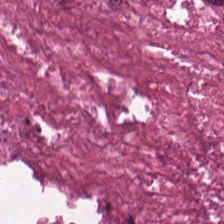H&E stain — Predominantly cellular debris.
